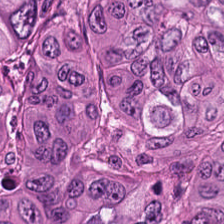Hematoxylin-and-eosin stained section. The tissue is colorectal adenocarcinoma.
